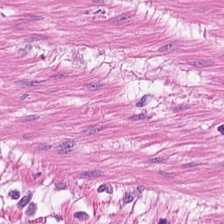H&E-stained tissue section · FFPE — The classification is muscularis.
